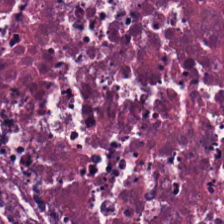H&E stain — Cellular debris.
